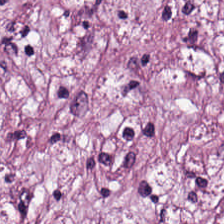H&E. Q: What does this patch show?
A: It is tumor stroma.
